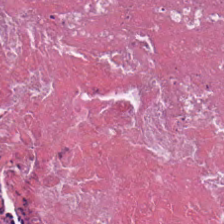0.5 µm per pixel. H&E. Brightfield microscopy — Q: Classify this patch.
A: This is cellular debris.
